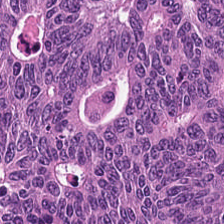Hematoxylin-and-eosin stained section; 0.5 microns per pixel.
Q: What does this patch show?
A: Malignant epithelium.
